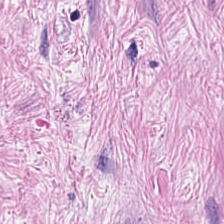H&E stain. This field is desmoplastic stroma.
